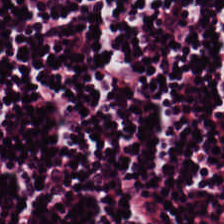Hematoxylin and eosin — Predominant tissue — lymphoid infiltrate.
